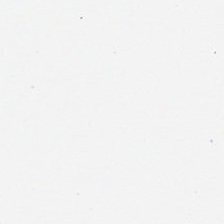This patch shows background (no tissue).
